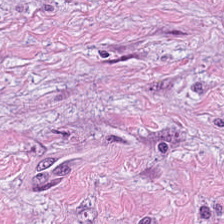Stain: H&E.
Tissue type: tumor-associated stroma.
